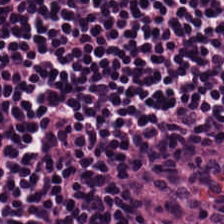The predominant tissue is lymphocytic infiltrate.
